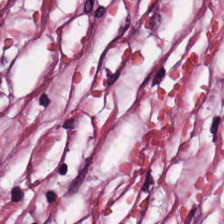H&E · whole-slide-image patch.
Q: What is shown here?
A: Desmoplastic stroma.
